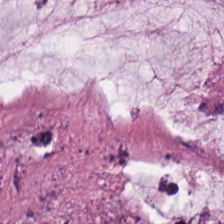Whole-slide-image patch · 20× equivalent magnification · hematoxylin-and-eosin stained section.
The tissue class is mucus.
